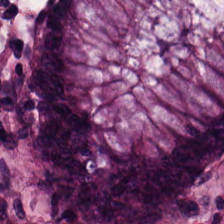H&E-stained tissue section · 0.5 µm/px. The tissue here is benign colonic mucosa.
